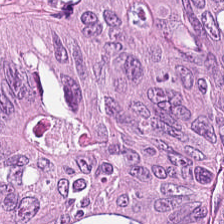Stain: H&E stain.
Tile size: 224×224 px patch.
Resolution: 20× equivalent magnification.
Tissue class: malignant epithelium.
